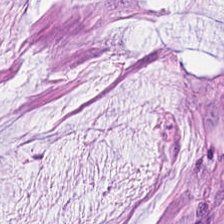Tissue = mucus.
